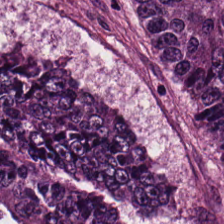Stain: hematoxylin-and-eosin stained section.
Acquisition: brightfield microscopy.
Resolution: 20× equivalent magnification.
Tissue: adenocarcinoma.
